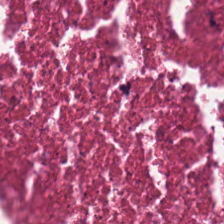Hematoxylin and eosin · brightfield · formalin-fixed paraffin-embedded section — The predominant tissue is debris.
